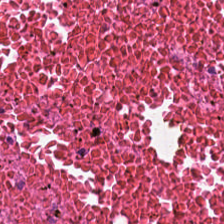Hematoxylin-and-eosin stained section.
Q: What is shown in this field?
A: It is necrotic debris.
